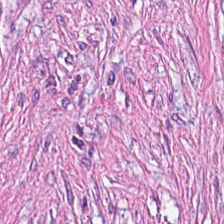Stain: H&E stain.
Tissue class: cancer-associated stroma.
